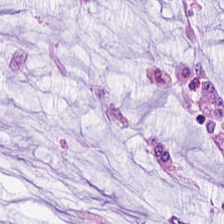H&E stain.
{"tissue_type": "mucin"}
